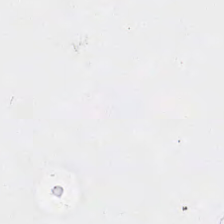The classification is background.
